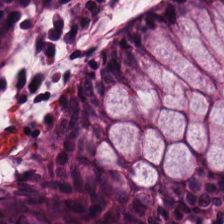H&E stain. 224×224 px patch — Classification — non-neoplastic colon mucosa.
